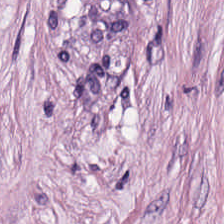Hematoxylin-and-eosin stained section; 0.5 µm per pixel.
Impression — tumor stroma.
